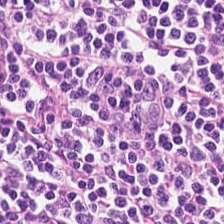The predominant tissue is lymphoid infiltrate.
